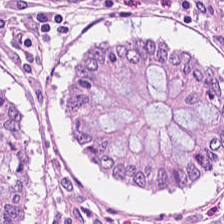The tissue here is non-neoplastic colon mucosa.
